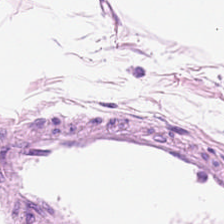Brightfield microscopy. H&E stain.
The predominant tissue is adipose.
